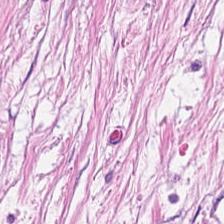224×224 pixel tile · H&E · brightfield.
Tissue type = cancer-associated stroma.
